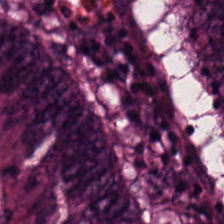0.5 microns per pixel. H&E-stained tissue section — {"tissue_type": "tumor epithelium"}
